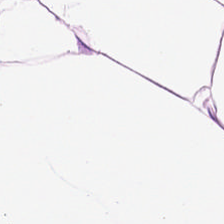Brightfield; H&E; FFPE tissue section. Q: Identify the tissue.
A: Fat tissue.
